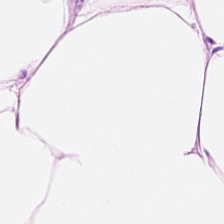224×224 px tile · H&E-stained tissue section · formalin-fixed paraffin-embedded section.
Showing adipocytes.
